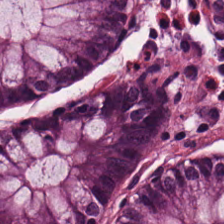FFPE tissue section; hematoxylin-and-eosin stained section. The predominant tissue is non-neoplastic colon mucosa.
